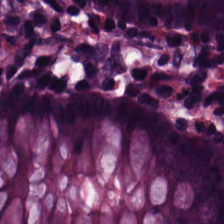Hematoxylin-and-eosin stained section — Predominant tissue: normal colon mucosa.
